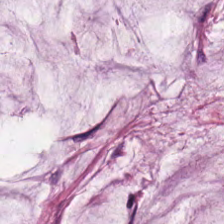Hematoxylin and eosin. Brightfield. Extracellular mucin.
